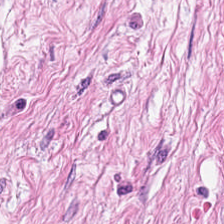Hematoxylin-and-eosin stained section. Cancer-associated stroma.
